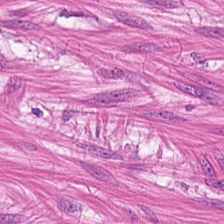Hematoxylin-and-eosin stained section. Showing smooth-muscle tissue.
